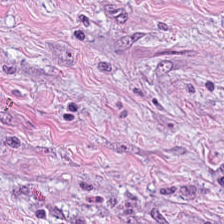H&E stain. Q: Classify this patch.
A: Tumor-associated stroma.
